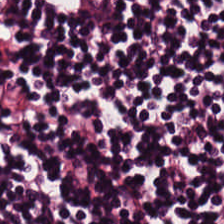H&E stain. 224×224 pixel tile. Whole-slide-image patch.
Q: Classify this patch.
A: It is lymphocytic infiltrate.
